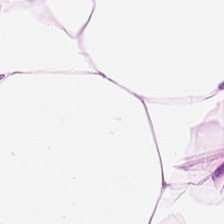The classification is fat tissue.
